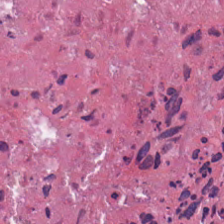Hematoxylin and eosin — Tissue type = cellular debris.
